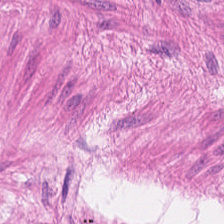H&E.
Q: Classify this patch.
A: This is smooth-muscle tissue.
